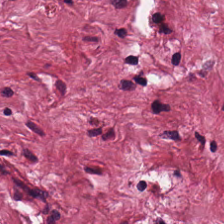Hematoxylin-and-eosin stained section · whole-slide-image patch — Impression → cancer-associated stroma.
